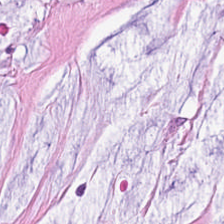H&E stain.
Finding — mucin.
